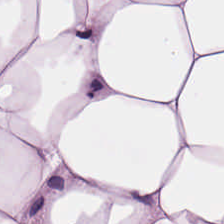224×224 px tile · formalin-fixed paraffin-embedded section · H&E — This patch shows adipose tissue.
